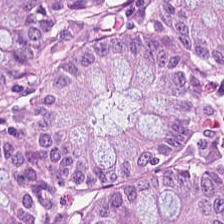Hematoxylin-and-eosin stained section. The predominant tissue is benign colonic mucosa.
